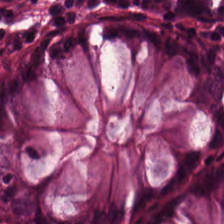H&E. Q: What tissue is shown?
A: The field shows non-neoplastic colon mucosa.
